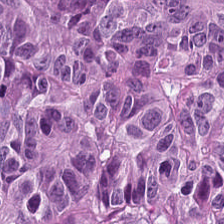Stain: hematoxylin-and-eosin stained section.
Predominant tissue: malignant epithelium.
